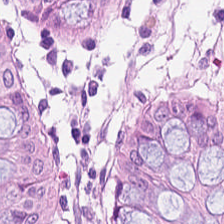H&E-stained tissue section · formalin-fixed paraffin-embedded section · 20× equivalent magnification.
Predominant tissue = benign colonic mucosa.
